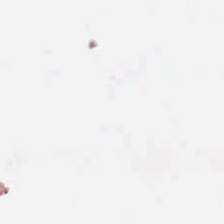Hematoxylin-and-eosin stained section.
Impression → empty background.
